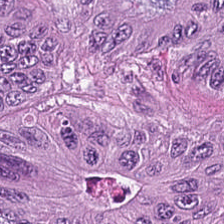Q: What tissue type is shown here?
A: This is tumor epithelium.
